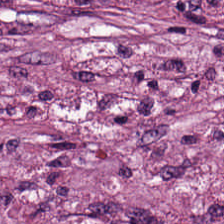H&E stain.
Q: Classify this patch.
A: Cancer-associated stroma.
